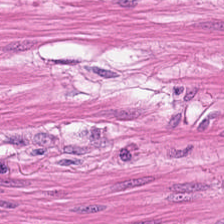224×224 px tile; H&E — Tissue = muscularis.
